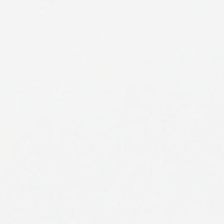Hematoxylin-and-eosin stained section. This patch shows background.
